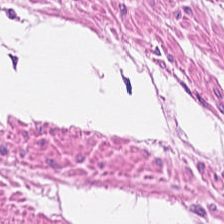224×224 px patch. FFPE tissue section. H&E stain — Q: What tissue type is shown here?
A: It is smooth-muscle tissue.
